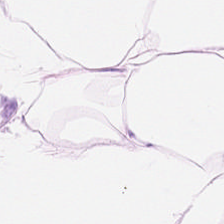Stain: H&E-stained tissue section.
Tissue class: adipose.
